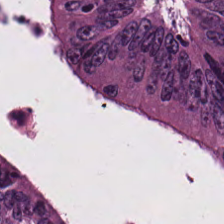H&E-stained tissue section showing colorectal adenocarcinoma epithelium.
